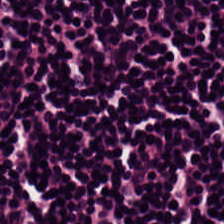H&E — Q: Identify the tissue.
A: It is lymphocyte aggregate.
